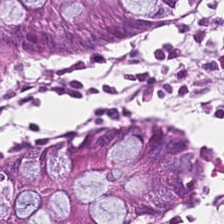H&E patch showing normal colon mucosa.
